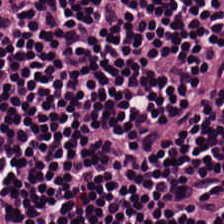H&E-stained tissue section. Tissue: lymphocyte aggregate.
